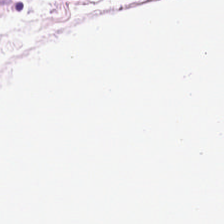Hematoxylin and eosin. The classification is adipose tissue.
